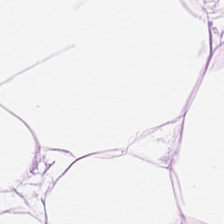Stain: H&E-stained tissue section.
Tile size: 224×224 px tile.
Acquisition: WSI patch.
Classification: adipose tissue.
